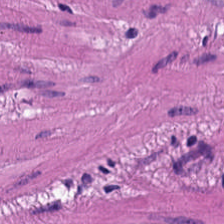FFPE tissue section. Hematoxylin-and-eosin stained section. This patch shows smooth-muscle tissue.
